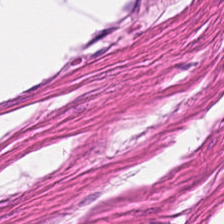Stain: H&E.
Tissue type: smooth muscle.
